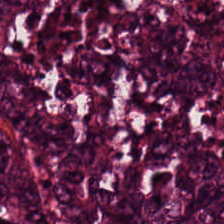H&E-stained tissue section — This field is malignant epithelium.
